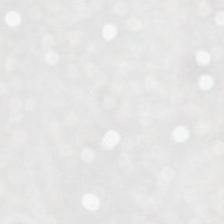Hematoxylin and eosin.
Q: Classify this patch.
A: The field shows empty background.
